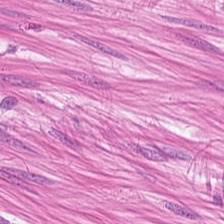Hematoxylin-and-eosin stained section. This patch shows muscularis.
